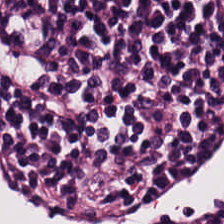H&E-stained tissue section.
The tissue here is lymphocytic infiltrate.
